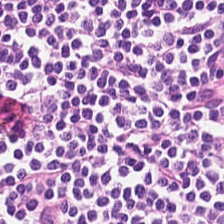H&E-stained tissue section.
The predominant tissue is lymphocyte aggregate.
